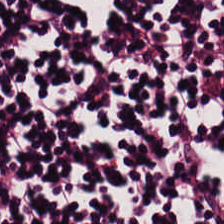H&E-stained tissue section — The tissue here is lymphocytes.
